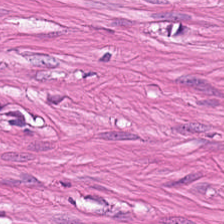H&E-stained tissue section; formalin-fixed paraffin-embedded section.
Tissue — muscularis.
